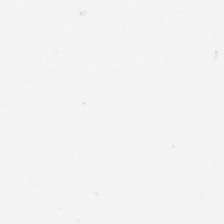Stain: hematoxylin and eosin.
Content: background.
